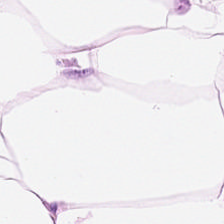Stain: H&E.
Classification: adipose.
